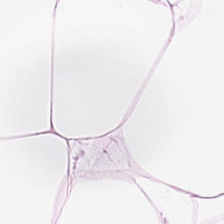{"tissue_type": "fat tissue"}
